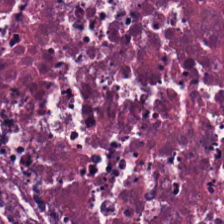Q: What tissue type is shown here?
A: Cellular debris.
